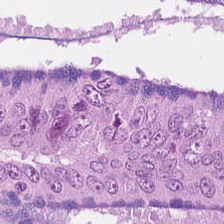H&E.
Colorectal adenocarcinoma epithelium.
